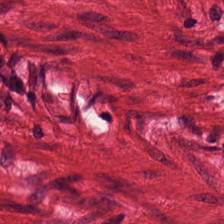H&E stain. Tissue: smooth muscle.
